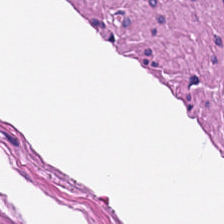H&E-stained tissue section; 224×224 px patch — The tissue here is muscularis.
